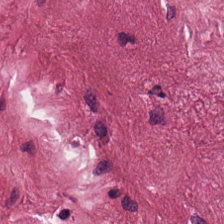Formalin-fixed paraffin-embedded section. H&E stain. Brightfield microscopy.
Predominantly desmoplastic stroma.
